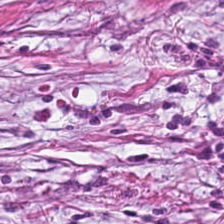Q: What tissue is shown?
A: It is desmoplastic stroma.
